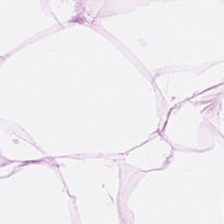Stain: H&E.
Tissue type: adipose tissue.
